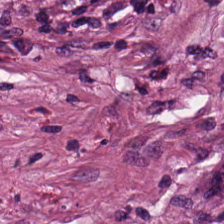Predominant tissue = cancer-associated stroma.
